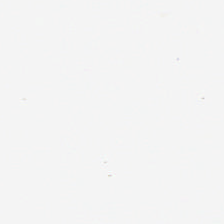224×224 px tile. H&E stain.
This field is background (no tissue).
